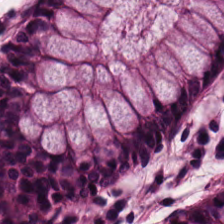Hematoxylin and eosin — This patch shows non-neoplastic colon mucosa.
